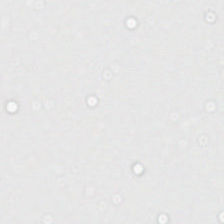0.5 µm/px · hematoxylin-and-eosin stained section.
No tissue.
